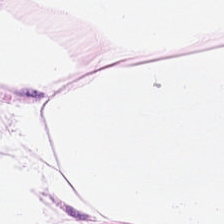Stain: hematoxylin and eosin.
Predominant tissue: adipocytes.
